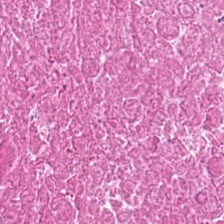Hematoxylin and eosin — The tissue here is debris.
